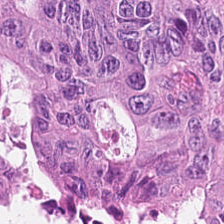H&E stain · 0.5 µm per pixel — Tissue type — tumor epithelium.
